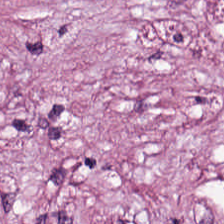Hematoxylin-and-eosin stained section. WSI patch.
This patch shows tumor-associated stroma.
